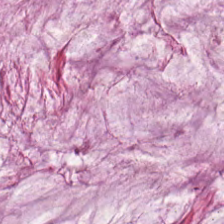Hematoxylin-and-eosin stained section. Whole-slide-image patch. FFPE.
Predominant tissue: mucin.
